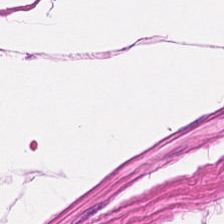H&E-stained tissue section · brightfield microscopy.
Predominant tissue — smooth-muscle tissue.
